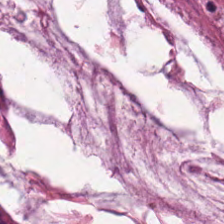Predominantly extracellular mucin.
